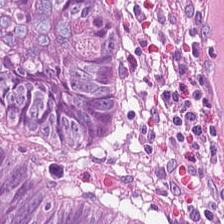H&E. This field is tumor epithelium.
